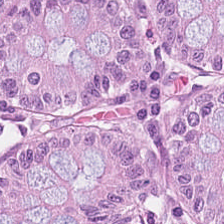Q: What does this patch show?
A: Normal colonic mucosa.
